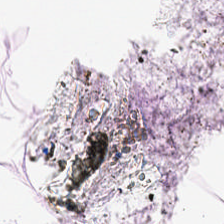{"tissue_type": "fat tissue"}
